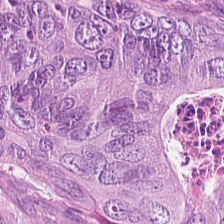Classification = colorectal adenocarcinoma.
